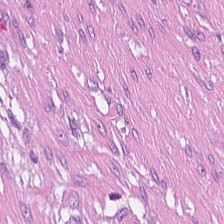Whole-slide-image patch; 0.5 µm per pixel; H&E stain — Showing cancer-associated stroma.
